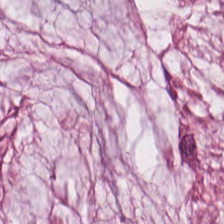H&E-stained tissue section. 20× equivalent magnification. Q: Identify the tissue.
A: The field shows mucus.
